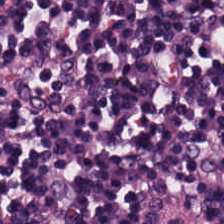Brightfield microscopy · hematoxylin and eosin · 0.5 microns per pixel.
Q: What type of tissue is this?
A: This is lymphocyte aggregate.
